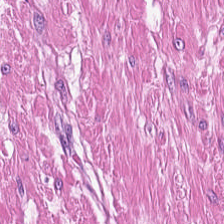Tissue class: muscularis.
